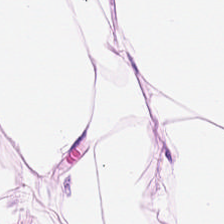H&E stain.
Q: Classify this patch.
A: The field shows adipocytes.
